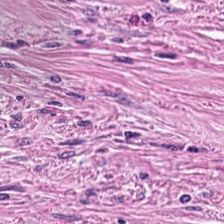Q: What does this patch show?
A: It is tumor stroma.
